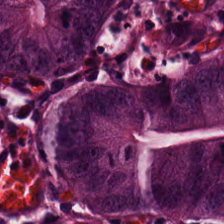H&E — malignant epithelium.
